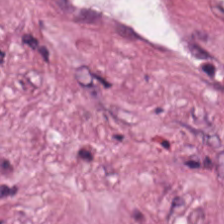H&E stain; FFPE; whole-slide-image patch.
Classification: desmoplastic stroma.
